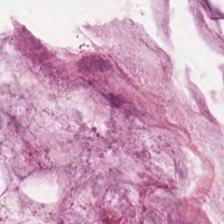0.5 µm/px · H&E. This field is extracellular mucin.
